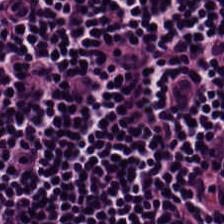Histology — lymphocytic infiltrate.
